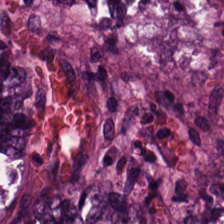Stain: hematoxylin and eosin.
Tissue class: colorectal adenocarcinoma.
